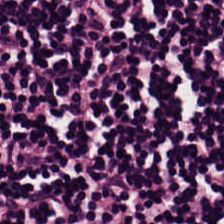Stain: H&E stain.
Classification: lymphoid infiltrate.
